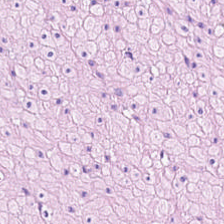H&E-stained tissue section · 0.5 microns per pixel — This field is smooth-muscle tissue.
